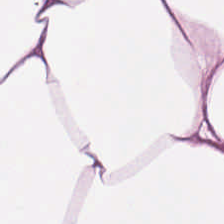This patch shows adipose tissue.
